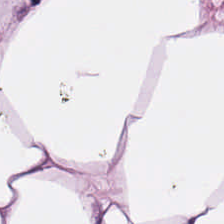Impression → fat tissue.
